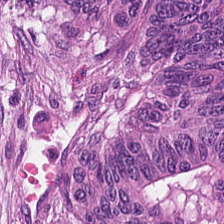Stain: hematoxylin and eosin.
Predominant tissue: adenocarcinoma.
